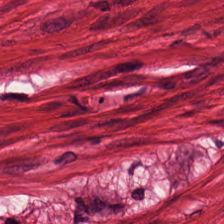Hematoxylin and eosin · 224×224 px patch — Predominantly smooth-muscle tissue.
